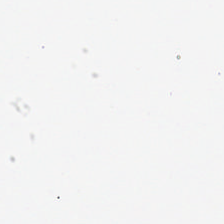Q: What is shown in this field?
A: The field shows empty background.
